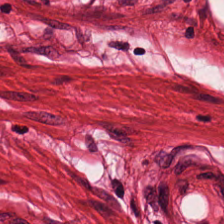FFPE · H&E stain.
This patch shows smooth-muscle tissue.
